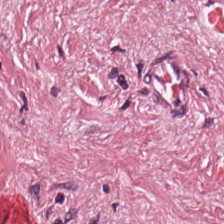Classification — cancer-associated stroma.
